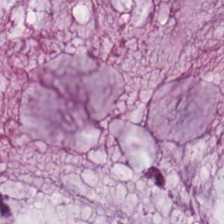Tissue type: mucin.
